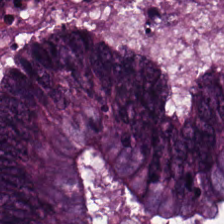H&E-stained tissue section · 20× equivalent magnification · whole-slide-image patch. Classification = colorectal adenocarcinoma.
